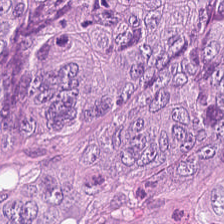This field is tumor epithelium.
